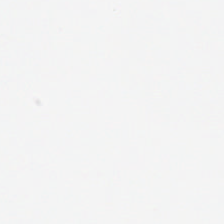Hematoxylin and eosin. This field is background (no tissue).
